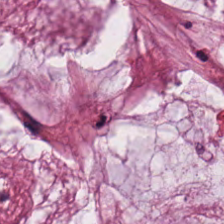{"tissue_type": "mucin"}
